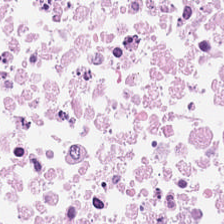Hematoxylin-and-eosin stained section — Impression → debris.
